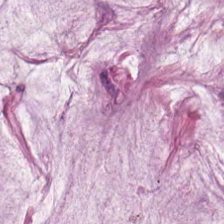H&E — The tissue type is mucin.
